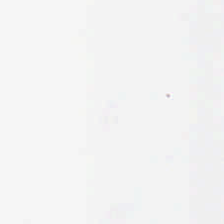FFPE tissue section · WSI patch · hematoxylin-and-eosin stained section — Background.
